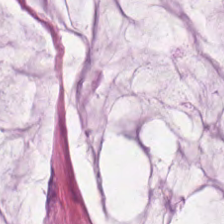224×224 px patch · FFPE · H&E-stained tissue section — Q: What type of tissue is this?
A: The field shows mucus.
